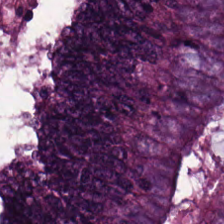H&E; FFPE; 224×224 px patch. Adenocarcinoma.
